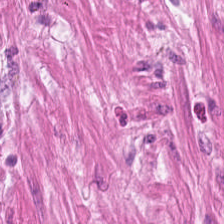Brightfield microscopy. H&E-stained tissue section.
This field is smooth muscle.
